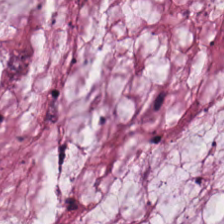Q: Classify this patch.
A: This is mucus.
